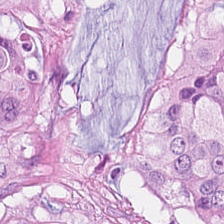H&E — Classification = colorectal adenocarcinoma epithelium.
